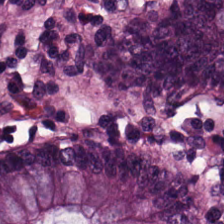20× equivalent magnification · hematoxylin-and-eosin stained section · formalin-fixed paraffin-embedded section. Q: What type of tissue is this?
A: This is non-neoplastic colon mucosa.
